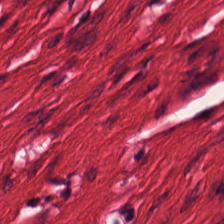H&E stain. Tissue = muscularis.
